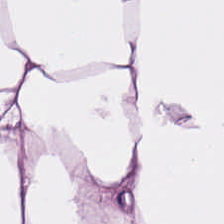H&E — Predominant tissue: adipose.
